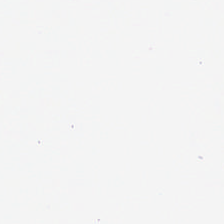This patch shows no tissue.
